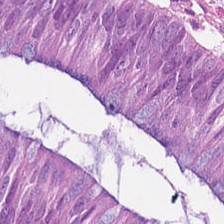H&E stain · 20× equivalent magnification — The predominant tissue is malignant epithelium.
